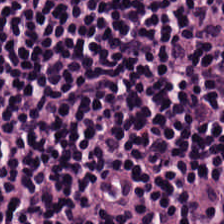Stain: H&E-stained tissue section.
Tile size: 224×224 px tile.
Predominant tissue: lymphocytes.
